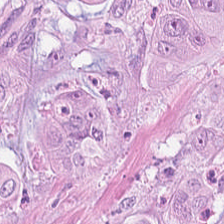H&E · 224×224 px tile · WSI patch — Tissue class: colorectal adenocarcinoma epithelium.
